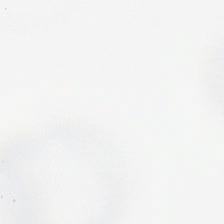H&E-stained tissue section. Classification — no tissue.
